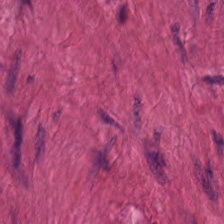H&E-stained tissue section.
The tissue is smooth muscle.
